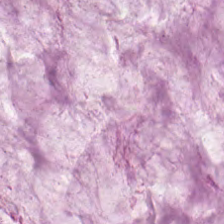H&E-stained tissue section · 224×224 px patch.
Q: What tissue is shown?
A: Mucus.
